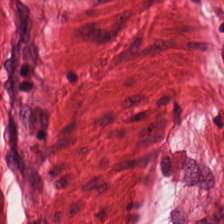H&E-stained tissue section — This patch shows smooth-muscle tissue.
